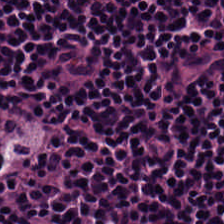FFPE tissue section · H&E stain. The predominant tissue is lymphocytes.
